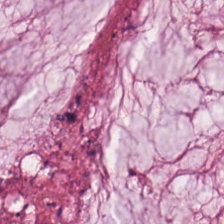Hematoxylin-and-eosin stained section; 0.5 µm per pixel — This field is extracellular mucin.
